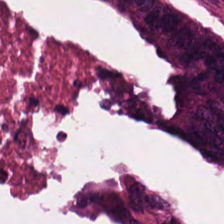Tissue class = colorectal adenocarcinoma epithelium.
